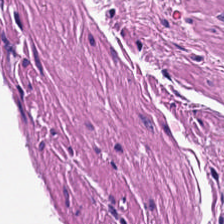Hematoxylin-and-eosin stained section · 0.5 microns per pixel. Impression — smooth-muscle tissue.
